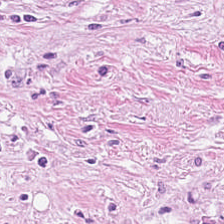Hematoxylin-and-eosin stained section. Whole-slide-image patch. Impression → cancer-associated stroma.
